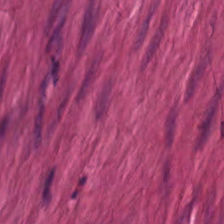H&E — Histology — smooth-muscle tissue.
